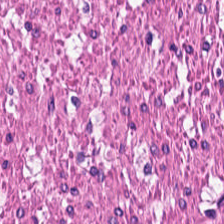H&E stain.
This field is muscularis.
